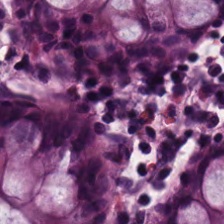Hematoxylin-and-eosin stained section. The tissue here is normal colon mucosa.
